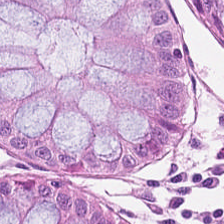Hematoxylin-and-eosin stained section. 224×224 px patch.
Q: What is the predominant tissue type?
A: Non-neoplastic colon mucosa.
